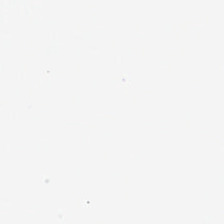This field is background (no tissue).
